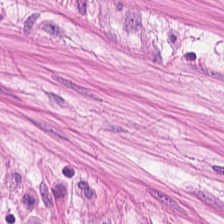Predominantly smooth muscle.
